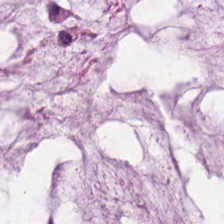Tissue class = mucin.
